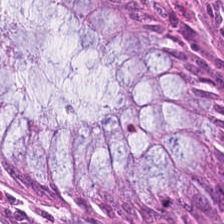H&E — Tissue type — non-neoplastic colon mucosa.
